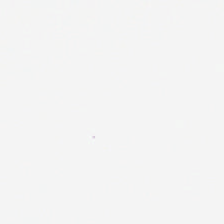Hematoxylin-and-eosin stained section. WSI patch. FFPE. Background — no tissue in this field.
